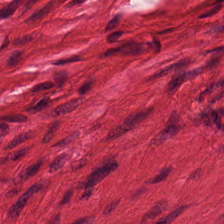FFPE tissue section. H&E-stained tissue section. 224×224 px tile.
Q: What is the predominant tissue type?
A: This is smooth-muscle tissue.
